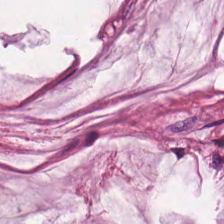Hematoxylin and eosin. This patch shows mucus.
